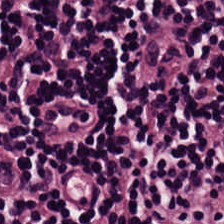Stain: H&E stain.
Acquisition: whole-slide-image patch.
Tissue type: lymphocytic infiltrate.
